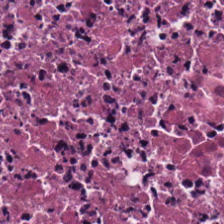H&E-stained tissue section — This field is cellular debris.
